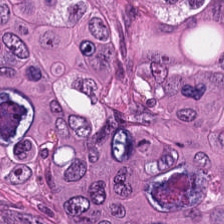Formalin-fixed paraffin-embedded section; H&E-stained tissue section.
The predominant tissue is adenocarcinoma.
